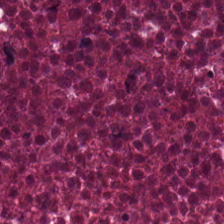0.5 µm per pixel; 224×224 pixel tile; hematoxylin and eosin — Predominantly cellular debris.
